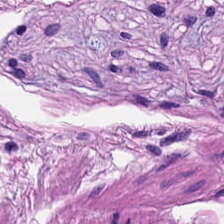H&E stain. 224×224 pixel tile — {"tissue_type": "smooth muscle"}
